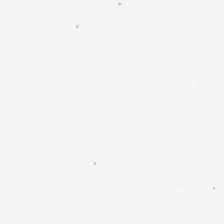This patch shows empty background.
